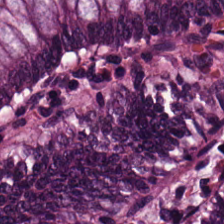H&E — Predominantly benign colonic mucosa.
